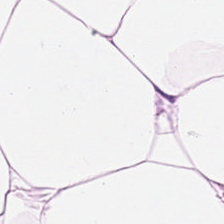H&E stain. This field is fat tissue.
